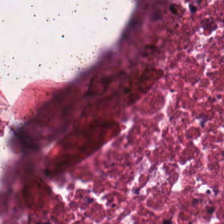Hematoxylin-and-eosin stained section. 0.5 µm/px.
This patch shows debris.
